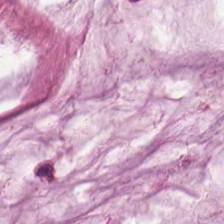WSI patch; H&E stain; 224×224 pixel tile.
Q: What tissue is shown?
A: The field shows extracellular mucin.
